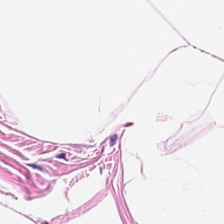0.5 microns per pixel; H&E stain.
Q: What does this patch show?
A: Adipose tissue.
